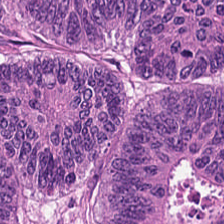H&E-stained tissue section. 20× equivalent magnification.
Histology → colorectal adenocarcinoma.
